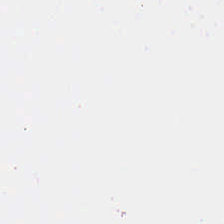Hematoxylin and eosin; brightfield microscopy. Background — no tissue in this field.
